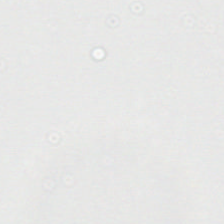H&E-stained tissue section.
Field content = background.
